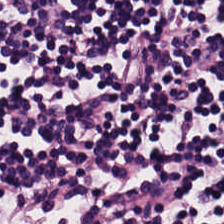Hematoxylin-and-eosin stained section · formalin-fixed paraffin-embedded section — {"tissue_type": "lymphoid infiltrate"}
